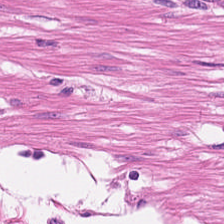Stain: hematoxylin and eosin.
Acquisition: whole-slide-image patch.
Resolution: 0.5 µm/px.
Tissue: smooth muscle.
